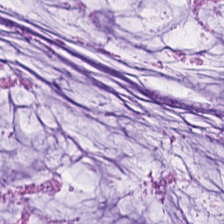{"tissue_type": "mucus"}
